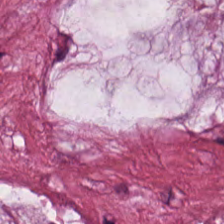20× equivalent magnification. Hematoxylin and eosin.
The tissue here is extracellular mucin.
